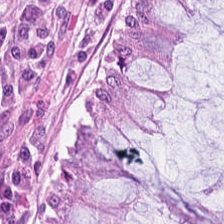Hematoxylin and eosin. Tissue type — non-neoplastic colon mucosa.
